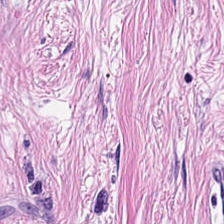H&E-stained tissue section.
Showing cancer-associated stroma.
